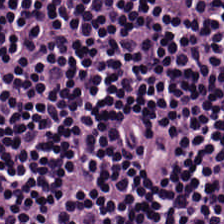H&E stain.
Predominantly lymphoid infiltrate.
